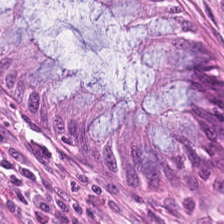H&E. Brightfield microscopy. Formalin-fixed paraffin-embedded section — Histology → benign colonic mucosa.
